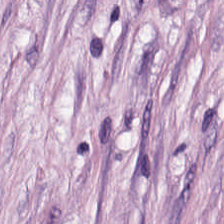Impression → tumor-associated stroma.
